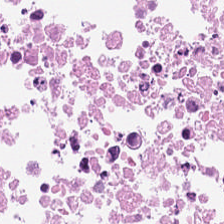Hematoxylin and eosin; 224×224 pixel tile. Tissue type: debris.
